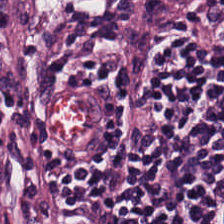WSI patch; 0.5 microns per pixel; H&E stain.
Q: Identify the tissue.
A: It is lymphoid infiltrate.
